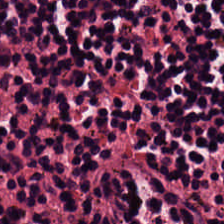0.5 µm/px; H&E stain; FFPE. {"tissue_type": "lymphocytes"}
